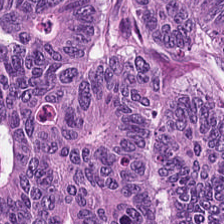0.5 microns per pixel. H&E-stained tissue section.
Q: Classify this patch.
A: Malignant epithelium.
